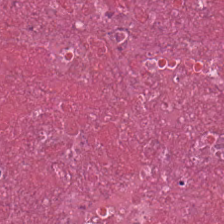This patch shows necrotic debris.
